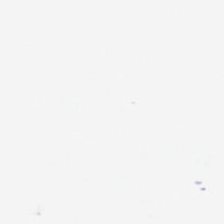Brightfield · 224×224 px patch · hematoxylin and eosin.
No tissue present; background only.
